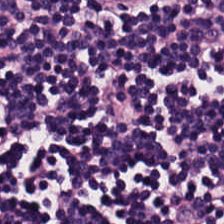Hematoxylin and eosin — Q: What is shown here?
A: Lymphocytic infiltrate.
